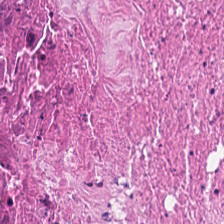Finding → cellular debris.
